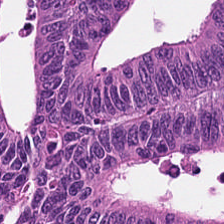Hematoxylin-and-eosin stained section. Predominantly colorectal adenocarcinoma.
